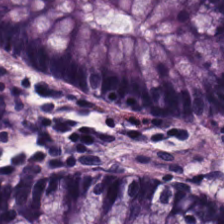H&E. The tissue type is normal colonic mucosa.
